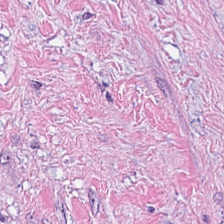Stain: hematoxylin and eosin.
Tissue class: tumor-associated stroma.
